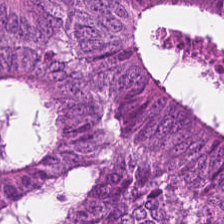Whole-slide-image patch · FFPE · H&E.
This patch shows malignant epithelium.
